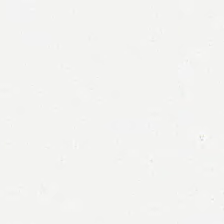H&E. 20× equivalent magnification. This field is background (no tissue).
